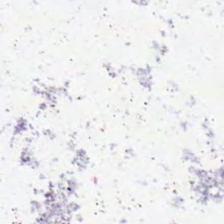H&E. 224×224 pixel tile. Classification = background (no tissue).
